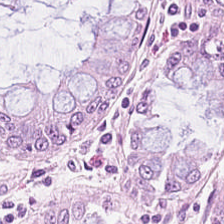Hematoxylin and eosin — The tissue is benign colonic mucosa.
